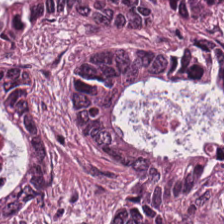Q: Identify the tissue.
A: It is malignant epithelium.
